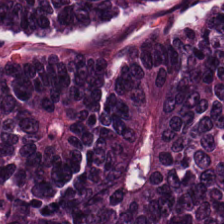20× equivalent magnification · H&E-stained tissue section · brightfield — Histology — adenocarcinoma.
